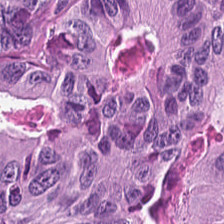Hematoxylin-and-eosin stained section.
Impression — adenocarcinoma.
